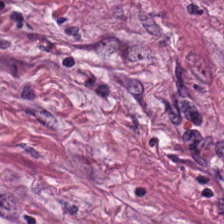FFPE. Hematoxylin and eosin — Tumor stroma.
